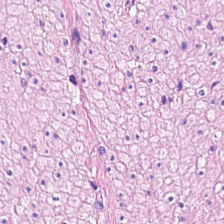Smooth muscle.
